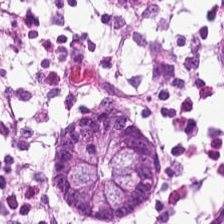0.5 µm per pixel · formalin-fixed paraffin-embedded section · H&E stain.
The tissue is benign colonic mucosa.
